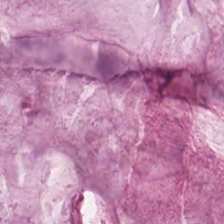Hematoxylin and eosin · WSI patch. Q: What is shown in this field?
A: This is mucin.
